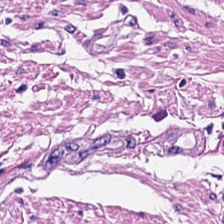Q: Identify the tissue.
A: This is smooth muscle.
